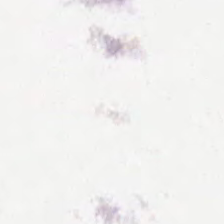The content is background.
